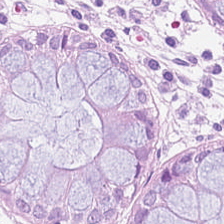The predominant tissue is normal colonic mucosa.
